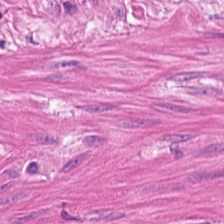224×224 px tile; H&E stain.
Q: What is the predominant tissue type?
A: Smooth muscle.
